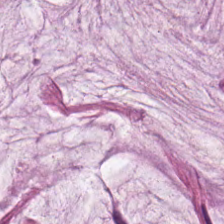FFPE tissue section; hematoxylin and eosin; brightfield microscopy. Q: What is shown here?
A: It is mucin.
